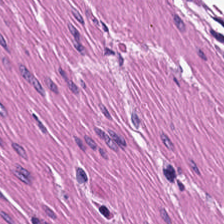Stain: H&E.
Tissue type: smooth muscle.
